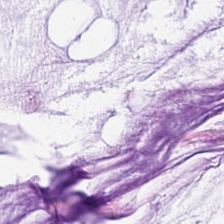Hematoxylin-and-eosin stained section. Finding → mucin.
